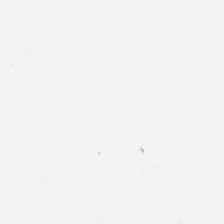H&E. The field content is background (no tissue).
